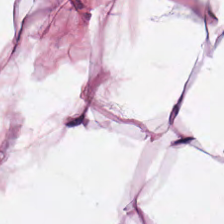FFPE tissue section; H&E-stained tissue section — This field is adipose.
